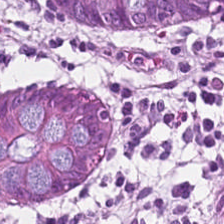Stain: H&E-stained tissue section.
Classification: non-neoplastic colon mucosa.
